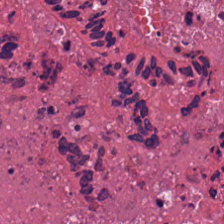H&E. 0.5 microns per pixel. 224×224 pixel tile — Tissue type = debris.
